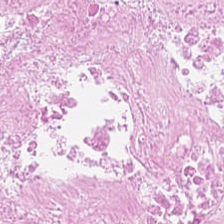Debris.
